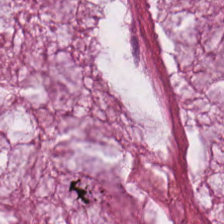Hematoxylin and eosin. Impression → extracellular mucin.
